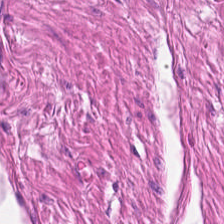H&E stain; 224×224 px patch. The tissue is muscularis.
